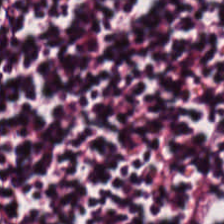Brightfield microscopy. Hematoxylin-and-eosin stained section.
Classification — lymphocytes.
